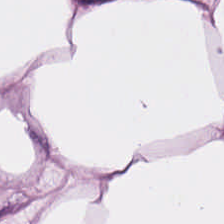H&E stain.
Impression → fat tissue.
